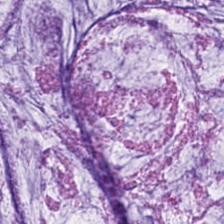{"tissue_type": "extracellular mucin"}
